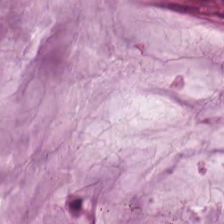Hematoxylin and eosin. Predominantly mucus.
